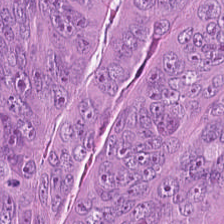Predominant tissue: tumor epithelium.
